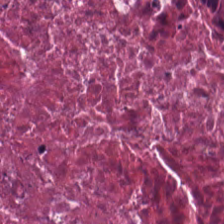224×224 px patch. FFPE. Hematoxylin and eosin. Histology — debris.
